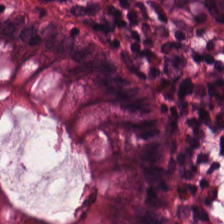Q: What is the predominant tissue type?
A: It is normal colon mucosa.
